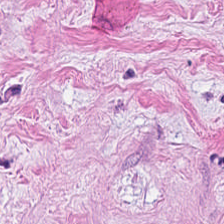Hematoxylin and eosin. The predominant tissue is cancer-associated stroma.
